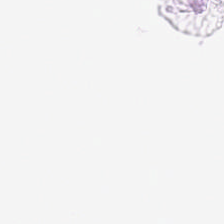Hematoxylin-and-eosin stained section. 224×224 pixel tile. Impression — no tissue.
